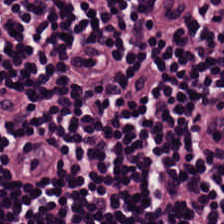Hematoxylin-and-eosin stained section. The predominant tissue is lymphocyte aggregate.
